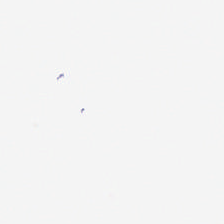Stain: H&E.
Acquisition: WSI patch.
Tile size: 224×224 px tile.
Field content: background.
